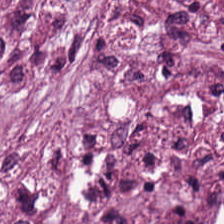FFPE tissue section. H&E stain. Q: Identify the tissue.
A: It is desmoplastic stroma.
